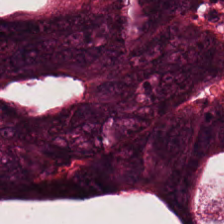Hematoxylin-and-eosin stained section.
Tissue type: tumor epithelium.
